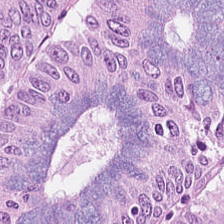224×224 pixel tile · H&E stain. Predominant tissue = colorectal adenocarcinoma.
